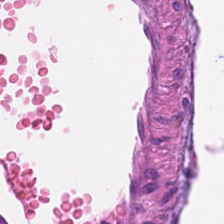FFPE tissue section · hematoxylin-and-eosin stained section.
Impression — muscularis.
